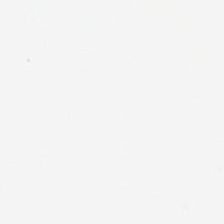Stain: hematoxylin and eosin.
Preparation: FFPE.
Classification: background.
